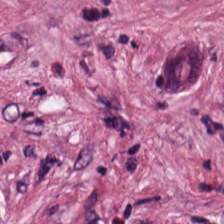H&E stain — Classification: tumor stroma.
